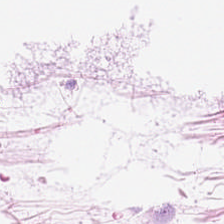H&E stain — {"tissue_type": "adipocytes"}
